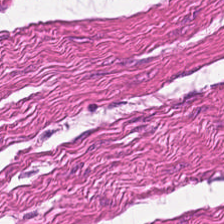Showing smooth-muscle tissue.
